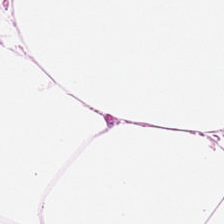Hematoxylin-and-eosin stained section. The tissue type is adipocytes.
